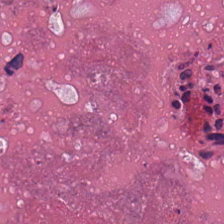H&E-stained tissue section.
Classification = necrotic debris.
